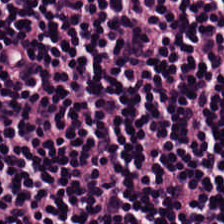Stain: hematoxylin-and-eosin stained section.
Tissue: lymphocytic infiltrate.
